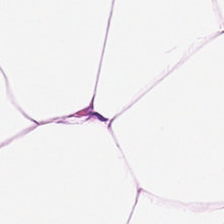Adipose tissue.
